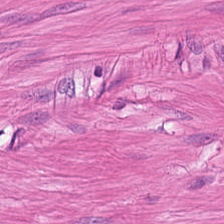Stain: hematoxylin-and-eosin stained section.
Preparation: formalin-fixed paraffin-embedded section.
Predominant tissue: smooth muscle.
